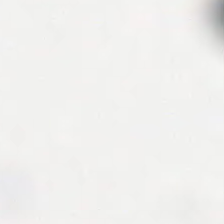Brightfield. H&E stain. Q: Classify this patch.
A: The field shows empty background.
